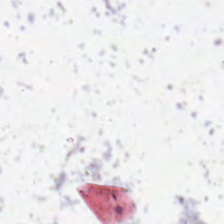Background — no tissue in this field.
